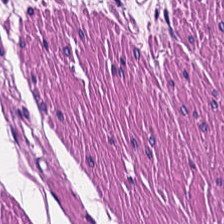This patch shows smooth muscle.
